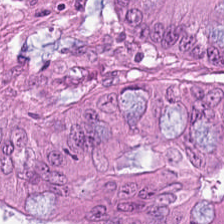Stain: hematoxylin and eosin.
Resolution: 20× equivalent magnification.
Tissue: colorectal adenocarcinoma epithelium.
